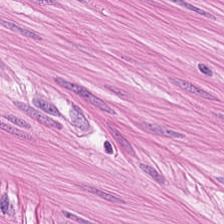224×224 px patch · hematoxylin and eosin — Q: What does this patch show?
A: This is muscularis.
